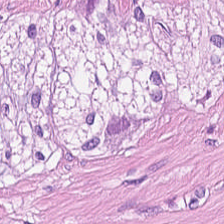Stain: hematoxylin-and-eosin stained section.
Tile size: 224×224 px patch.
Tissue: smooth-muscle tissue.
